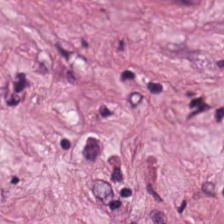H&E. Predominant tissue: tumor stroma.
